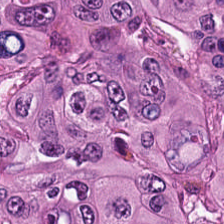Q: What does this patch show?
A: It is tumor epithelium.
